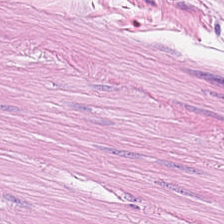Hematoxylin-and-eosin stained section.
The tissue type is smooth-muscle tissue.
